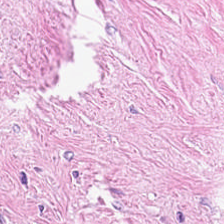Hematoxylin and eosin — Finding — cancer-associated stroma.
